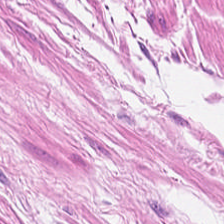Brightfield microscopy; formalin-fixed paraffin-embedded section; hematoxylin and eosin. Q: Classify this patch.
A: The field shows smooth muscle.
